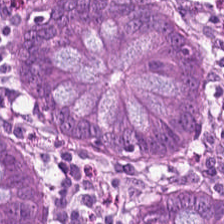H&E-stained tissue section · formalin-fixed paraffin-embedded section — Histology → benign colonic mucosa.
